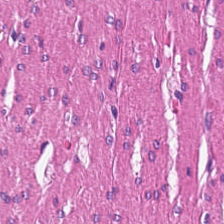H&E.
Muscularis.
